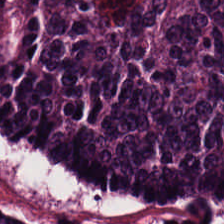Hematoxylin and eosin.
Q: What is shown in this field?
A: It is malignant epithelium.
